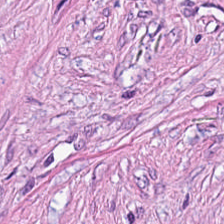Hematoxylin and eosin. Whole-slide-image patch. Q: Classify this patch.
A: This is cancer-associated stroma.
